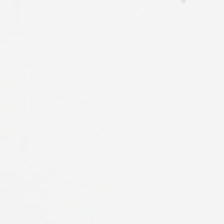Hematoxylin and eosin — Classification — no tissue.
